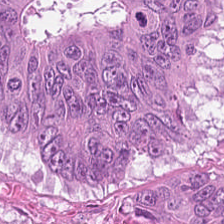The classification is colorectal adenocarcinoma epithelium.
